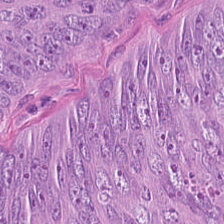H&E — The predominant tissue is colorectal adenocarcinoma epithelium.
